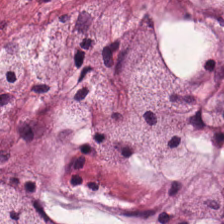WSI patch; 224×224 pixel tile; H&E stain — Q: What type of tissue is this?
A: This is mucin.
